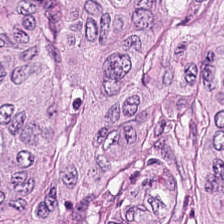Hematoxylin-and-eosin stained section. The tissue type is colorectal adenocarcinoma.
